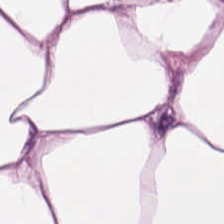H&E-stained tissue section.
{"tissue_type": "adipocytes"}
